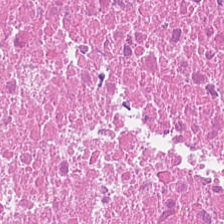FFPE. H&E-stained tissue section — Q: What is shown here?
A: This is cellular debris.
